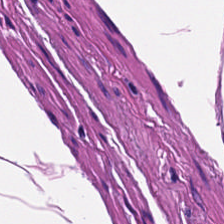H&E.
Showing smooth muscle.
